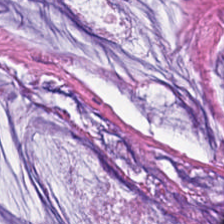H&E. The tissue here is extracellular mucin.
